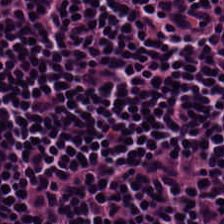The tissue here is lymphocyte aggregate.
